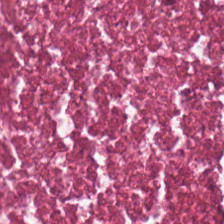Stain: hematoxylin-and-eosin stained section.
Predominant tissue: necrotic debris.
